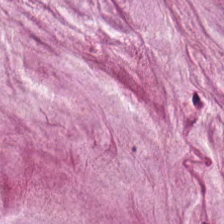0.5 µm/px. Hematoxylin and eosin.
Finding → mucus.
